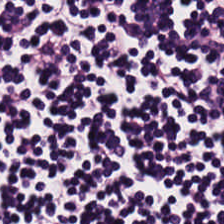Brightfield. Hematoxylin-and-eosin stained section. 224×224 pixel tile. Showing lymphocytes.
